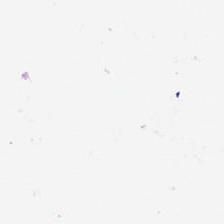Hematoxylin and eosin — Field content = background (no tissue).
